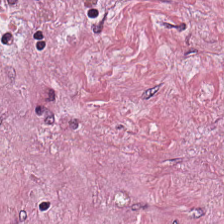Stain: H&E-stained tissue section.
Tissue class: desmoplastic stroma.
